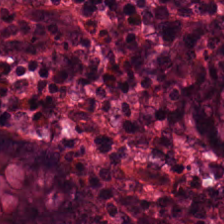Hematoxylin-and-eosin stained section.
The predominant tissue is benign colonic mucosa.
